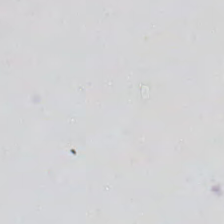H&E stain. Whole-slide-image patch. 224×224 px tile. Content: empty background.
